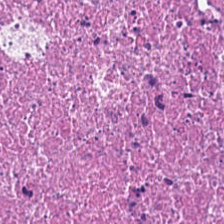Hematoxylin-and-eosin stained section. The tissue here is debris.
